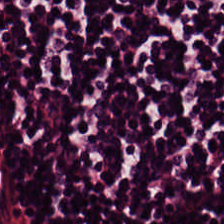WSI patch. H&E. 20× equivalent magnification — Predominantly lymphocytes.
